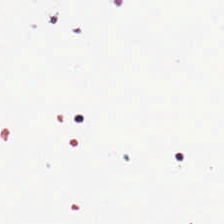H&E-stained tissue section · 224×224 pixel tile.
{"content": "background (no tissue)"}
